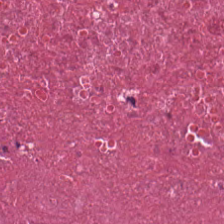FFPE tissue section. Hematoxylin-and-eosin stained section.
The tissue is necrotic debris.
